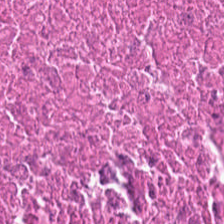H&E stain · 224×224 px tile. Impression → cellular debris.
